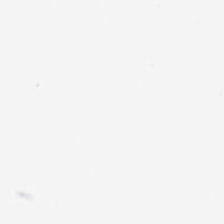{"content": "empty background"}
